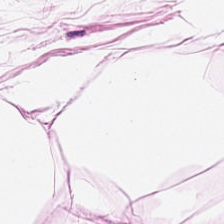Hematoxylin-and-eosin stained section. Histology — adipocytes.
